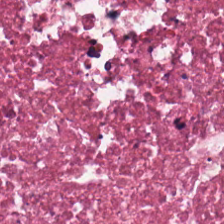0.5 microns per pixel. Hematoxylin-and-eosin stained section. FFPE. The tissue here is cellular debris.
